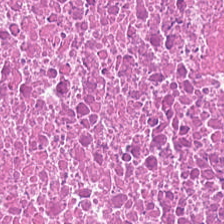224×224 px tile · H&E stain — Classification = debris.
